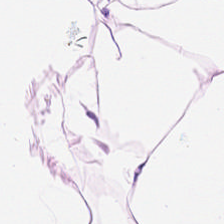Adipocytes.
